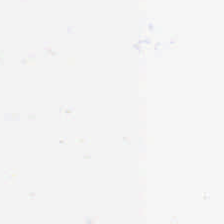224×224 pixel tile. Formalin-fixed paraffin-embedded section. H&E stain.
This patch shows background.
